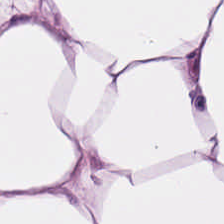Whole-slide-image patch. H&E-stained tissue section.
Showing fat tissue.
